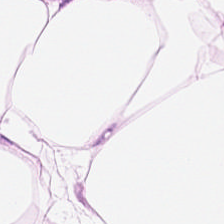Q: What does this patch show?
A: This is adipose tissue.
